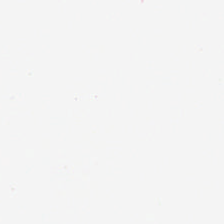FFPE · H&E-stained tissue section — Histology → background (no tissue).
